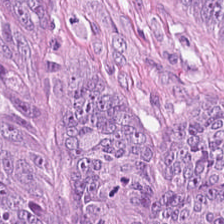0.5 µm/px. H&E. Colorectal adenocarcinoma.
